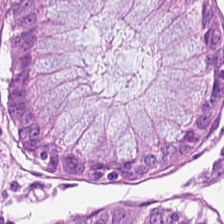H&E — non-neoplastic colon mucosa.
